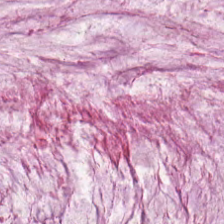H&E. The predominant tissue is mucin.
